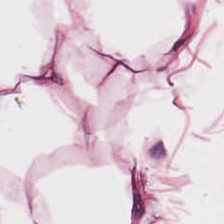224×224 px patch. Hematoxylin and eosin. Brightfield microscopy. Histology — adipocytes.
